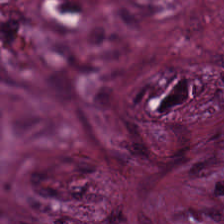H&E — Predominantly desmoplastic stroma.
